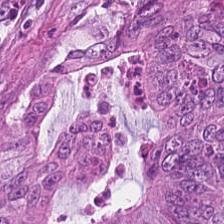Finding — adenocarcinoma.
